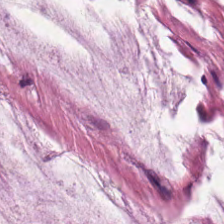Brightfield microscopy; hematoxylin and eosin; 224×224 px tile. Showing extracellular mucin.
